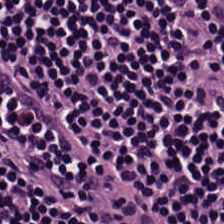The tissue here is lymphoid infiltrate.
